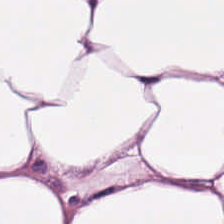Hematoxylin and eosin; FFPE.
This patch shows fat tissue.
